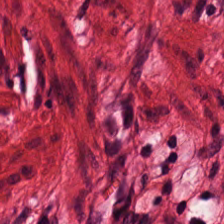The tissue here is muscularis.
